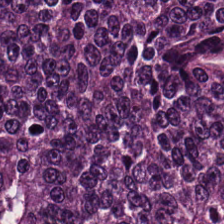Hematoxylin-and-eosin stained section — Tissue = tumor epithelium.
